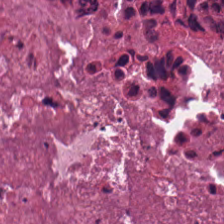H&E stain — Classification — cellular debris.
